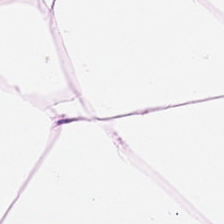Adipocytes.
